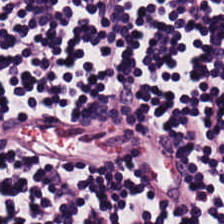Hematoxylin-and-eosin stained section — Impression → lymphocytic infiltrate.
